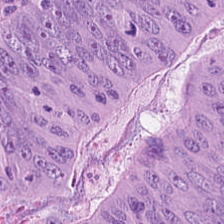The tissue here is tumor epithelium.
